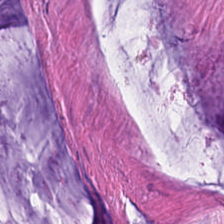H&E-stained tissue section.
Classification — extracellular mucin.
